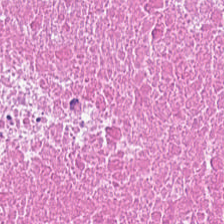Impression → necrotic debris.
